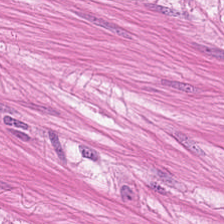Hematoxylin-and-eosin stained section. Histology → muscularis.
